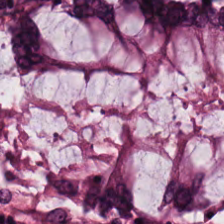H&E. 224×224 pixel tile.
This patch shows normal colonic mucosa.
